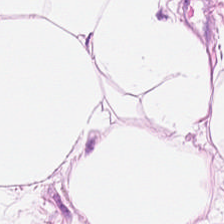Stain: hematoxylin and eosin.
Acquisition: whole-slide-image patch.
Predominant tissue: adipocytes.
